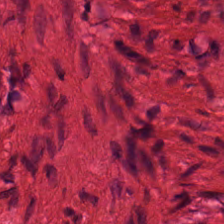The tissue class is muscularis.
